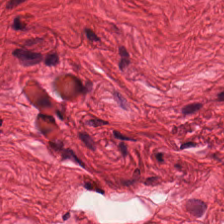H&E — smooth-muscle tissue.
